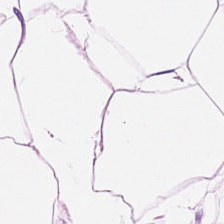224×224 px tile. 0.5 µm per pixel. H&E stain — Predominantly adipocytes.
